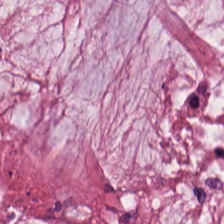Formalin-fixed paraffin-embedded section · H&E. Impression → mucus.
